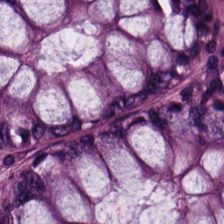Classification = non-neoplastic colon mucosa.
